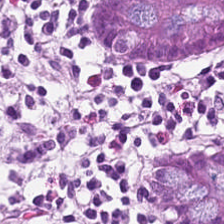Hematoxylin-and-eosin stained section.
This field is normal colonic mucosa.
